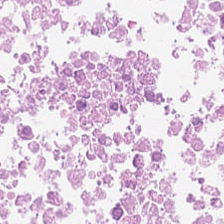H&E-stained section; the field shows necrotic debris.
